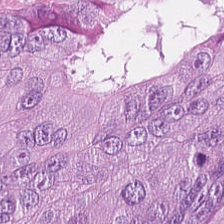Hematoxylin-and-eosin stained section.
Predominantly malignant epithelium.
